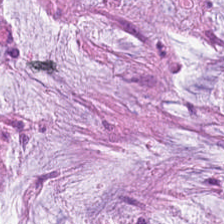Predominant tissue: mucus.
